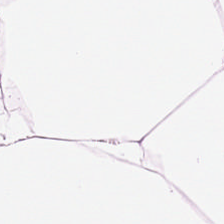224×224 px patch; H&E-stained tissue section. {"tissue_type": "adipose"}
